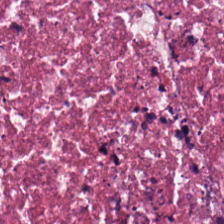Stain: hematoxylin-and-eosin stained section.
Preparation: FFPE tissue section.
Classification: cellular debris.
